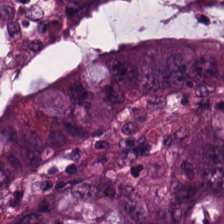Formalin-fixed paraffin-embedded section. Hematoxylin and eosin. 224×224 pixel tile.
Q: Classify this patch.
A: The field shows tumor epithelium.
